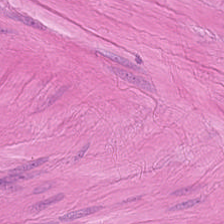H&E-stained tissue section; FFPE. Predominantly smooth-muscle tissue.
